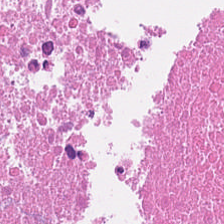H&E · FFPE tissue section — Q: What is shown in this field?
A: This is cellular debris.
